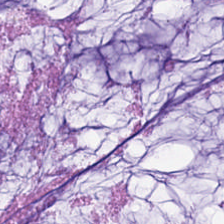Hematoxylin-and-eosin stained section · FFPE tissue section.
Q: What is shown here?
A: The field shows mucus.
